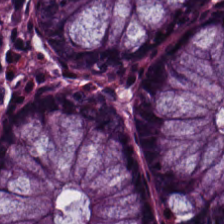H&E-stained tissue section.
Q: What does this patch show?
A: It is benign colonic mucosa.
